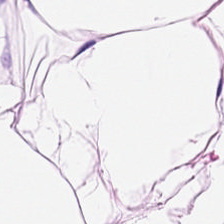20× equivalent magnification. H&E-stained tissue section.
Classification: fat tissue.
